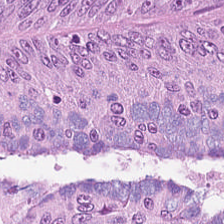Histology → malignant epithelium.
